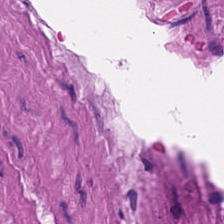Hematoxylin and eosin; brightfield — Tissue class = smooth-muscle tissue.
